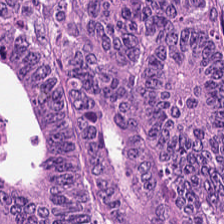Hematoxylin-and-eosin stained section · WSI patch.
Tissue class — colorectal adenocarcinoma epithelium.
